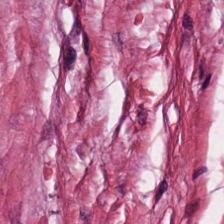Q: What does this patch show?
A: The field shows desmoplastic stroma.
